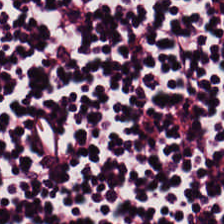Tissue type: lymphoid infiltrate.
